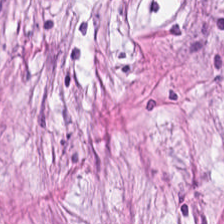The tissue type is tumor-associated stroma.
